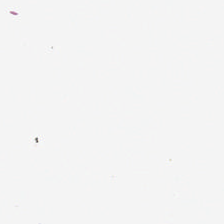H&E-stained tissue section. FFPE.
Background — no tissue in this field.
